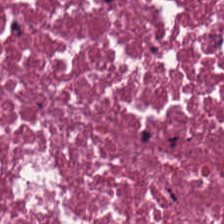Brightfield; H&E; 0.5 µm per pixel.
{"tissue_type": "cellular debris"}
